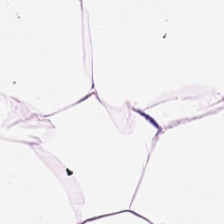H&E stain. Predominant tissue — adipose.
